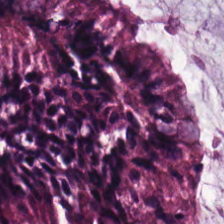Formalin-fixed paraffin-embedded section; H&E-stained tissue section.
The predominant tissue is benign colonic mucosa.
